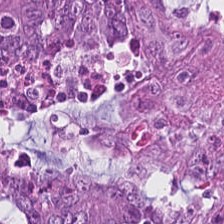H&E-stained tissue section showing adenocarcinoma.
